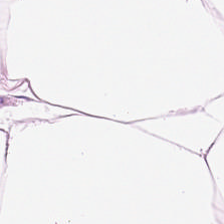Hematoxylin-and-eosin stained section; brightfield microscopy.
Q: What type of tissue is this?
A: The field shows adipose.
